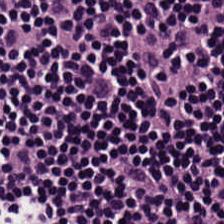H&E stain.
Predominantly lymphoid infiltrate.
